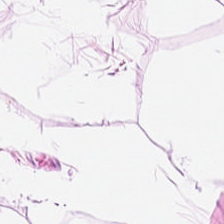Showing adipose.
